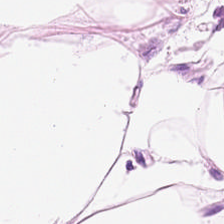Hematoxylin-and-eosin stained section.
This patch shows fat tissue.
